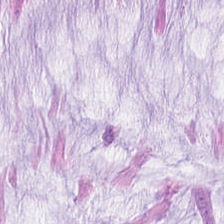WSI patch · H&E stain — Predominant tissue = mucus.
